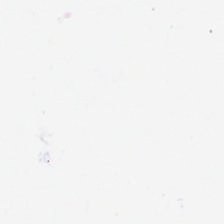H&E-stained tissue section; 20× equivalent magnification. Classification: no tissue.
